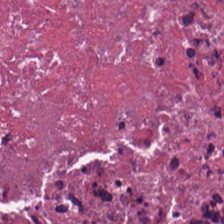Hematoxylin-and-eosin stained section; 0.5 microns per pixel.
Tissue class = necrotic debris.
